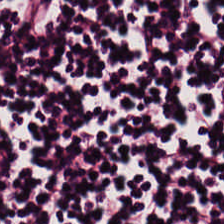224×224 px patch. 20× equivalent magnification. H&E stain.
The predominant tissue is lymphocytes.
